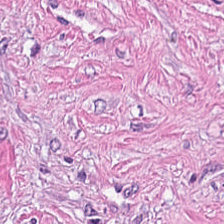H&E stain. The classification is tumor-associated stroma.
